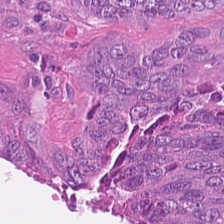224×224 px patch · hematoxylin and eosin. {"tissue_type": "adenocarcinoma"}
